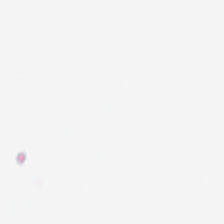H&E.
{"content": "no tissue"}
